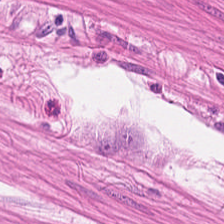Hematoxylin and eosin; 224×224 px tile; 0.5 µm/px.
Finding → smooth muscle.
